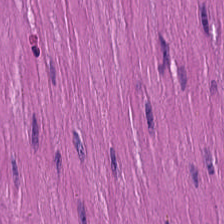Hematoxylin and eosin. Smooth-muscle tissue.
